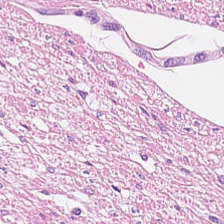Hematoxylin-and-eosin stained section. Tissue class: smooth-muscle tissue.
